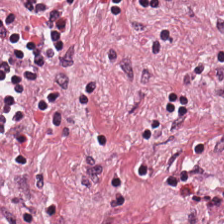Hematoxylin-and-eosin stained section. Q: What type of tissue is this?
A: This is tumor-associated stroma.
